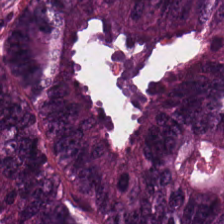H&E stain. This field is colorectal adenocarcinoma epithelium.
